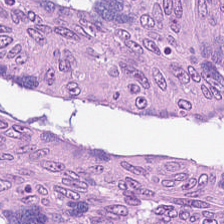0.5 µm/px · H&E-stained tissue section — Tissue type: colorectal adenocarcinoma epithelium.
